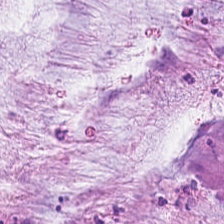Formalin-fixed paraffin-embedded section. 20× equivalent magnification. H&E-stained tissue section.
Q: What type of tissue is this?
A: It is extracellular mucin.
